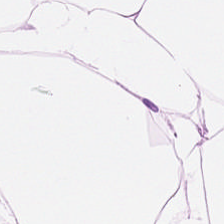Stain: H&E-stained tissue section.
Predominant tissue: adipose.
